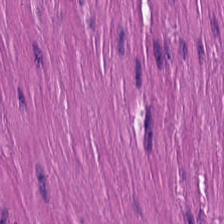H&E-stained tissue section — Histology — smooth-muscle tissue.
